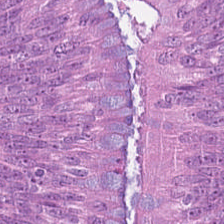Hematoxylin-and-eosin stained section — The tissue type is malignant epithelium.
